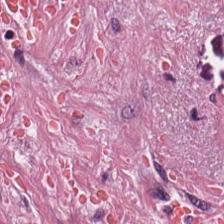Hematoxylin and eosin · WSI patch · 224×224 px patch.
Showing cancer-associated stroma.
